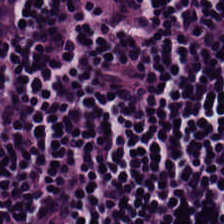H&E · 0.5 microns per pixel. {"tissue_type": "lymphoid infiltrate"}
